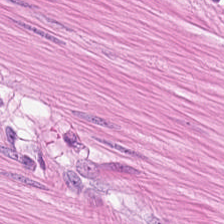Hematoxylin and eosin. 0.5 µm per pixel. 224×224 pixel tile. The predominant tissue is muscularis.
